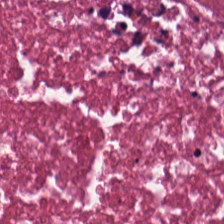Hematoxylin-and-eosin stained section; whole-slide-image patch. The tissue here is debris.
